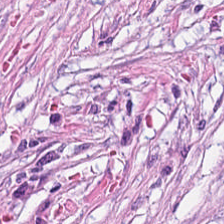H&E stain; 224×224 px tile. Tissue — desmoplastic stroma.
